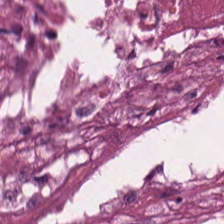20× equivalent magnification. Hematoxylin and eosin. FFPE tissue section.
Q: What is the predominant tissue type?
A: The field shows debris.
